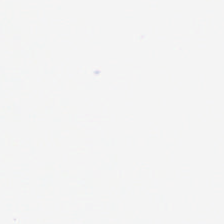The classification is background.
